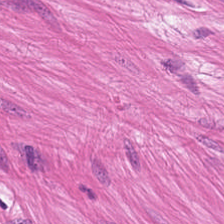H&E stain.
This field is smooth muscle.
